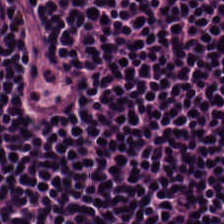The predominant tissue is lymphocytic infiltrate.
